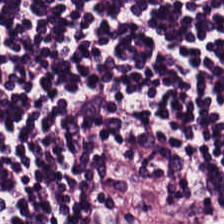Stain: hematoxylin and eosin.
Tissue class: lymphocyte aggregate.
